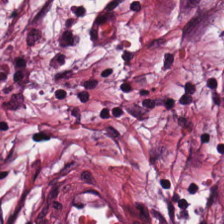224×224 pixel tile · hematoxylin-and-eosin stained section. {"tissue_type": "tumor stroma"}
